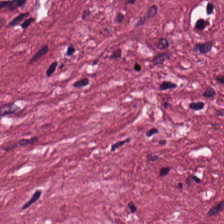Hematoxylin and eosin. 224×224 pixel tile.
{"tissue_type": "cancer-associated stroma"}
